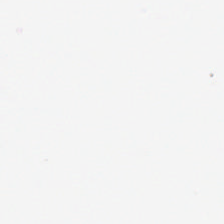Whole-slide-image patch; hematoxylin-and-eosin stained section — Content — no tissue.
